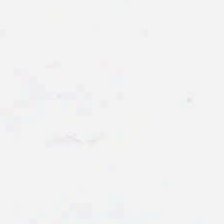Impression — background.
